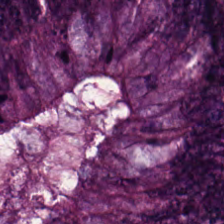Stain: H&E-stained tissue section.
Tissue class: adenocarcinoma.
